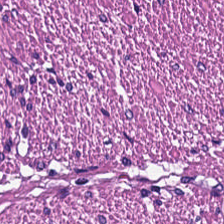Stain: H&E.
Classification: muscularis.
